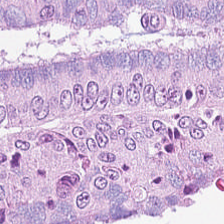Tissue class: colorectal adenocarcinoma epithelium.
